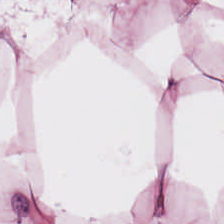H&E. The predominant tissue is adipose.
